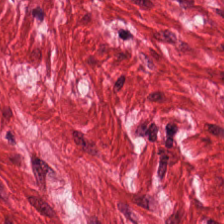224×224 px patch. 0.5 microns per pixel. H&E — Tissue: smooth muscle.
